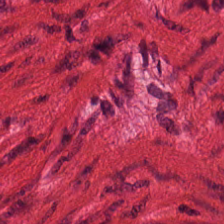Stain: hematoxylin and eosin.
Tissue type: muscularis.
